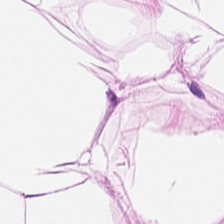Hematoxylin and eosin. Tissue class = adipose tissue.
